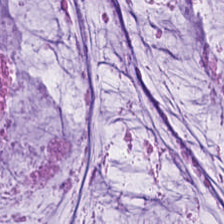Impression — extracellular mucin.
